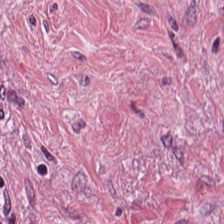H&E. Q: What is shown here?
A: It is tumor stroma.
